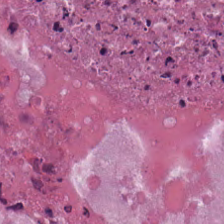Histology — cellular debris.
